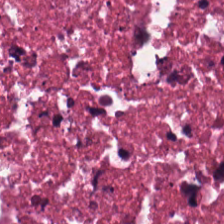20× equivalent magnification · H&E stain. Predominant tissue: debris.
